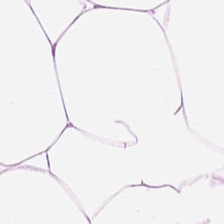H&E-stained tissue section. This patch shows fat tissue.
